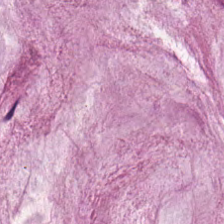Hematoxylin-and-eosin section: mucin.
